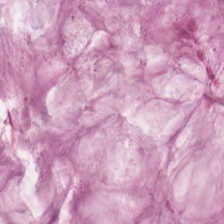Hematoxylin and eosin — Impression — mucus.
